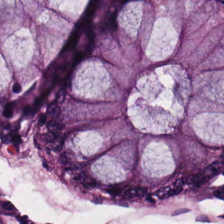Brightfield microscopy · H&E — This field is benign colonic mucosa.
